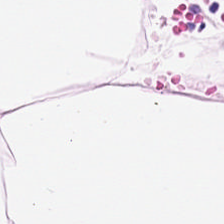Stain: hematoxylin-and-eosin stained section.
Tissue type: adipocytes.
